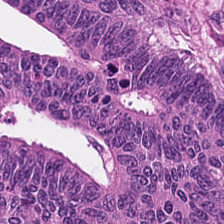Q: Identify the tissue.
A: Colorectal adenocarcinoma.
